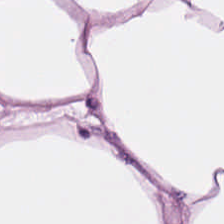Hematoxylin-and-eosin stained section. FFPE. 0.5 µm/px. Tissue — adipocytes.
